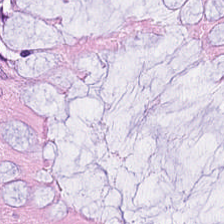H&E.
Q: What does this patch show?
A: It is non-neoplastic colon mucosa.
